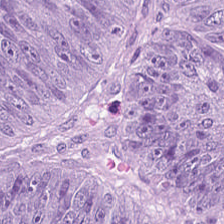{"tissue_type": "malignant epithelium"}
